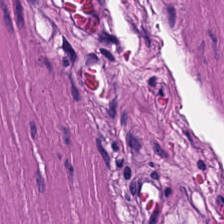H&E; 224×224 pixel tile. Q: What does this patch show?
A: The field shows muscularis.
